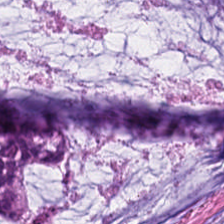H&E-stained tissue section. FFPE.
Tissue class: mucin.
